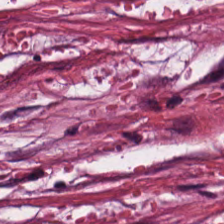Hematoxylin and eosin. Brightfield microscopy — Q: What tissue type is shown here?
A: It is tumor stroma.
